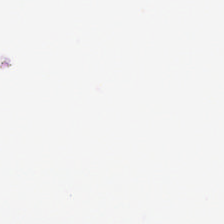Q: What is shown here?
A: Background.
